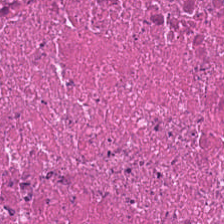H&E stain — The tissue here is cellular debris.
